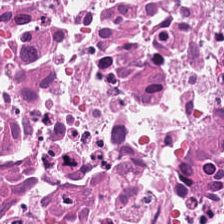Q: Identify the tissue.
A: The field shows cellular debris.
